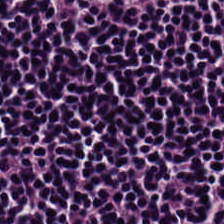224×224 px patch; hematoxylin and eosin — This patch shows lymphocytes.
